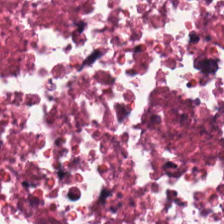Predominantly cellular debris.
